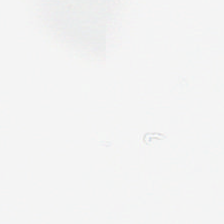Content = background.
